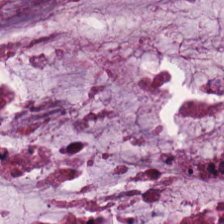Classification: extracellular mucin.
